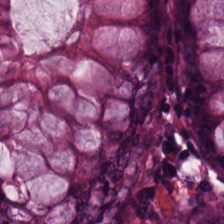Formalin-fixed paraffin-embedded section. H&E. 20× equivalent magnification — Classification = normal colon mucosa.
